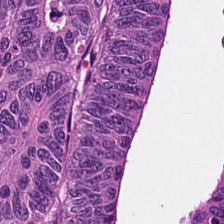H&E. Tissue type — tumor epithelium.
